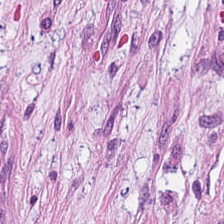Brightfield microscopy. 0.5 µm/px. H&E-stained tissue section. Showing tumor stroma.
